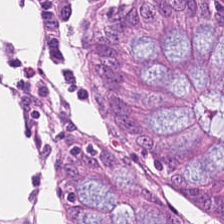Tissue = benign colonic mucosa.
